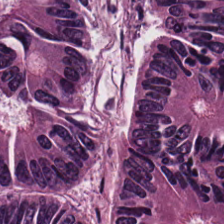The predominant tissue is malignant epithelium.
